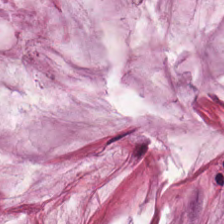H&E — The tissue here is extracellular mucin.
